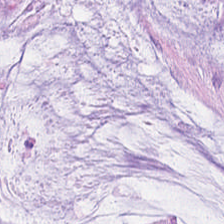Whole-slide-image patch. 224×224 px tile. Hematoxylin and eosin.
Showing mucin.
